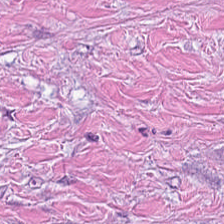Q: What tissue type is shown here?
A: This is tumor-associated stroma.
